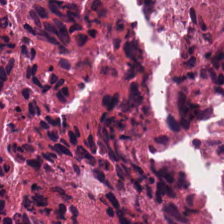H&E stain.
Q: What does this patch show?
A: The field shows cellular debris.
